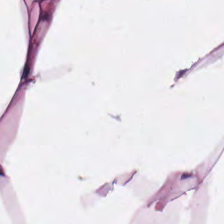Whole-slide-image patch. 20× equivalent magnification. H&E-stained tissue section. The tissue is adipose.
